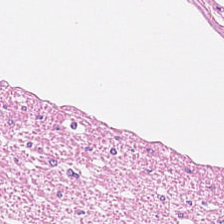Hematoxylin-and-eosin stained section. Q: Classify this patch.
A: It is muscularis.
